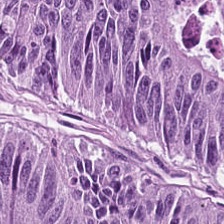Stain: H&E.
Classification: adenocarcinoma.
